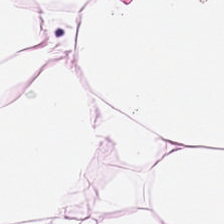Hematoxylin and eosin.
Predominantly fat tissue.
